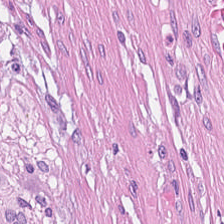H&E · 224×224 px patch. This field is tumor-associated stroma.
